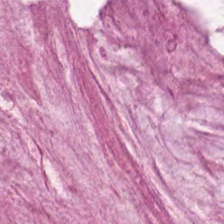Hematoxylin and eosin. 0.5 microns per pixel. Tissue — extracellular mucin.
